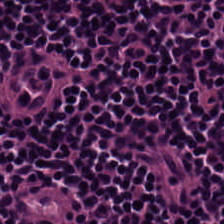H&E stain. 224×224 pixel tile.
{"tissue_type": "lymphocyte aggregate"}
